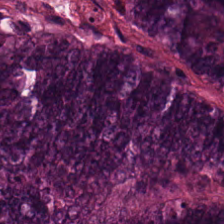Hematoxylin and eosin · brightfield. Finding — malignant epithelium.
